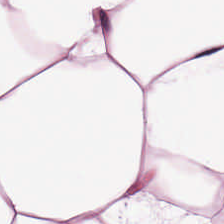Predominantly adipose.
